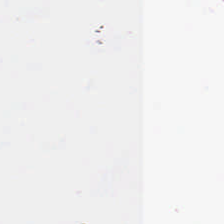Empty field — empty background.
